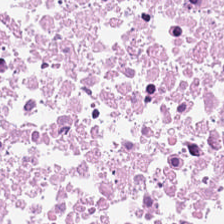Brightfield · hematoxylin and eosin · 224×224 px tile.
The tissue here is cellular debris.
